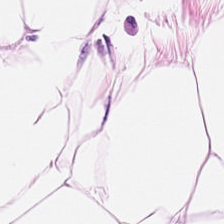224×224 px tile. Hematoxylin-and-eosin stained section. 0.5 µm/px.
Adipose.
